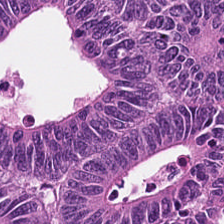H&E stain · 224×224 px tile — {"tissue_type": "adenocarcinoma"}
